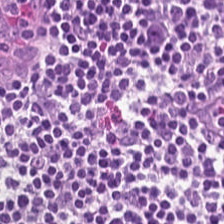Q: What is shown here?
A: This is lymphocytic infiltrate.
